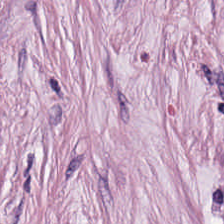H&E stain — Classification — cancer-associated stroma.
